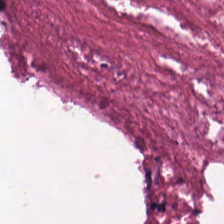Necrotic debris.
